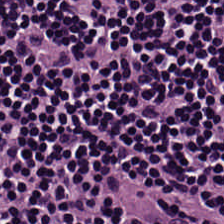Finding → lymphocytes.
